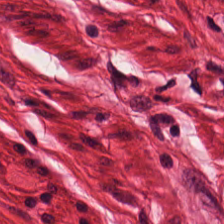Hematoxylin and eosin; FFPE tissue section. This patch shows smooth-muscle tissue.
